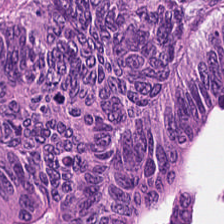Hematoxylin and eosin.
Predominant tissue — malignant epithelium.
